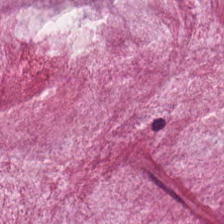Hematoxylin-and-eosin stained section — Showing mucus.
